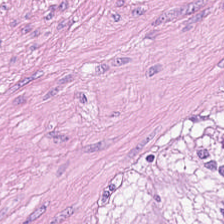H&E stain.
This patch shows smooth-muscle tissue.
